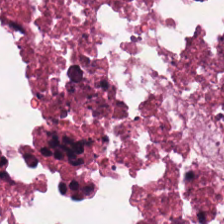Brightfield · hematoxylin and eosin · 0.5 µm/px — Q: What tissue type is shown here?
A: It is cellular debris.
